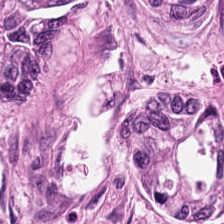Hematoxylin and eosin. Q: What tissue is shown?
A: It is colorectal adenocarcinoma.
